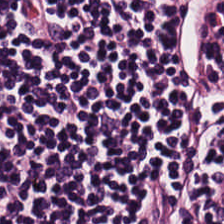H&E stain. Histology — lymphoid infiltrate.
